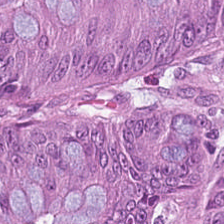H&E.
Predominantly tumor epithelium.
